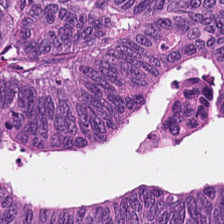FFPE · hematoxylin and eosin — Finding — adenocarcinoma.
